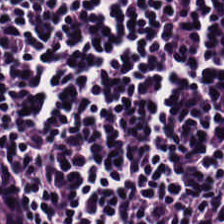Classification — lymphocyte aggregate.
